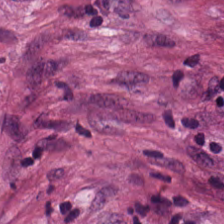Classification = cancer-associated stroma.
